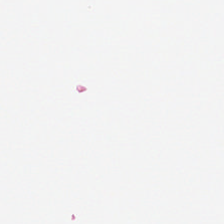Field content = no tissue.
